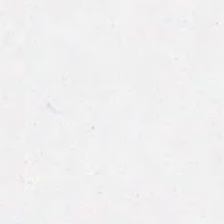20× equivalent magnification · H&E.
Background.
